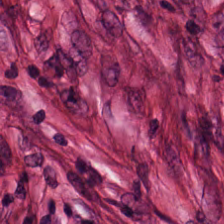FFPE. H&E-stained tissue section. Brightfield — This patch shows cancer-associated stroma.
